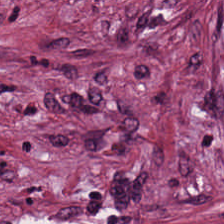H&E-stained tissue section.
Q: Classify this patch.
A: This is tumor-associated stroma.
